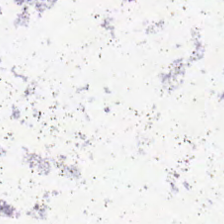H&E-stained tissue section — Content — no tissue.
